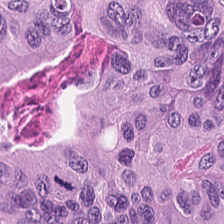224×224 px patch; H&E stain; brightfield.
{"tissue_type": "colorectal adenocarcinoma epithelium"}
